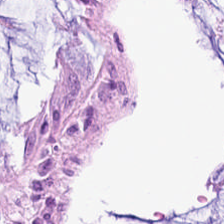Hematoxylin and eosin · FFPE — Q: Classify this patch.
A: It is normal colon mucosa.
